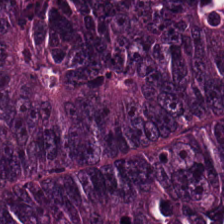Hematoxylin-and-eosin stained section — Malignant epithelium.
